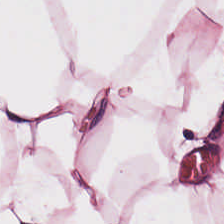FFPE. Hematoxylin and eosin. 20× equivalent magnification.
Showing adipose.
